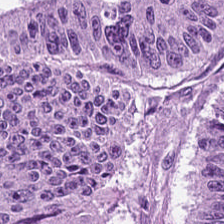H&E stain.
The tissue class is malignant epithelium.
